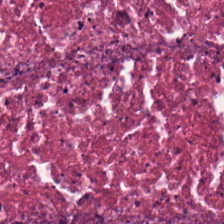0.5 microns per pixel · 224×224 pixel tile · H&E-stained tissue section.
Showing necrotic debris.
